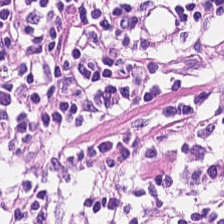H&E · 224×224 px tile.
Predominant tissue = lymphocytes.
